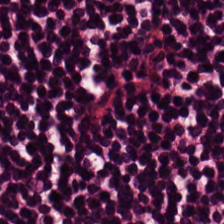H&E stain — This field is lymphocytes.
